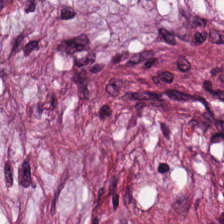H&E stain. Predominant tissue — desmoplastic stroma.
